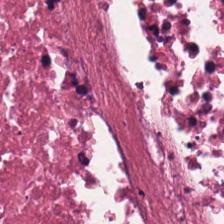This field is cellular debris.
